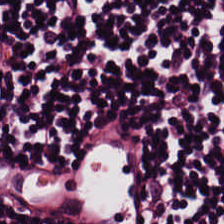Hematoxylin and eosin — Tissue type = lymphoid infiltrate.
